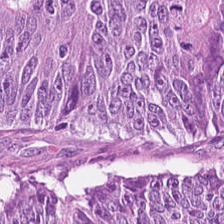H&E stain. Predominantly adenocarcinoma.
